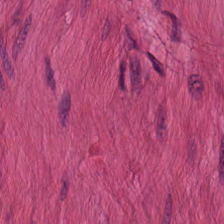H&E stain — Tissue: smooth muscle.
